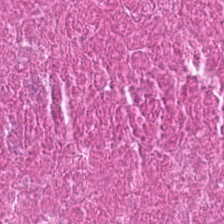Formalin-fixed paraffin-embedded section; 224×224 pixel tile; H&E-stained tissue section. Impression → debris.
